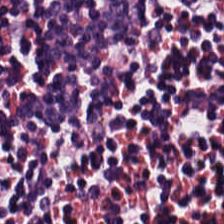Formalin-fixed paraffin-embedded section · H&E stain · 0.5 microns per pixel — Lymphoid infiltrate.
